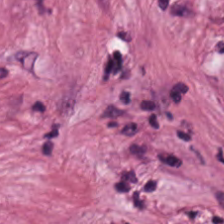H&E — Q: What type of tissue is this?
A: This is tumor-associated stroma.
